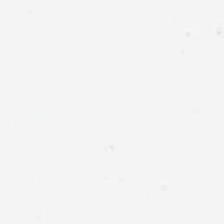Hematoxylin-and-eosin stained section — Histology — empty background.
